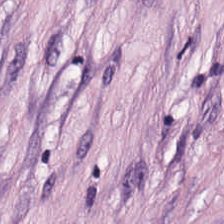Brightfield. H&E-stained tissue section. Impression → desmoplastic stroma.
